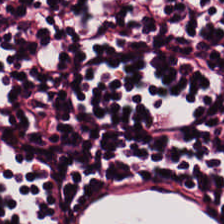FFPE; 224×224 pixel tile; H&E-stained tissue section.
Q: What type of tissue is this?
A: Lymphoid infiltrate.
